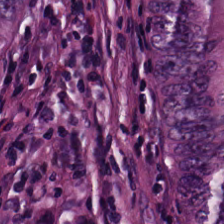0.5 µm per pixel; H&E stain.
Predominant tissue — malignant epithelium.
